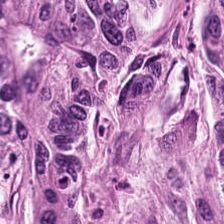H&E — The predominant tissue is colorectal adenocarcinoma epithelium.
